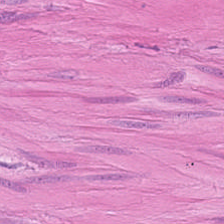Hematoxylin-and-eosin stained section · 224×224 pixel tile.
Impression → smooth-muscle tissue.
